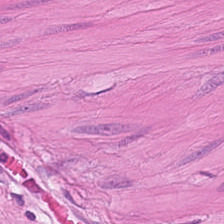H&E.
Finding → smooth-muscle tissue.
